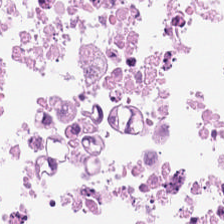224×224 px patch. H&E-stained tissue section. FFPE — Q: Classify this patch.
A: The field shows cellular debris.
